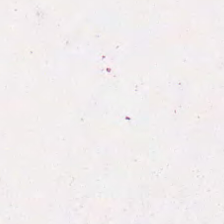Formalin-fixed paraffin-embedded section. H&E-stained tissue section. Extracellular mucin.
